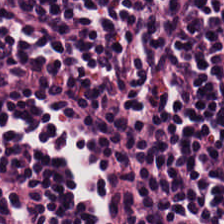Hematoxylin-and-eosin stained section. Formalin-fixed paraffin-embedded section. 224×224 pixel tile — Finding — lymphocytic infiltrate.
